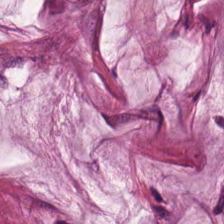Q: What does this patch show?
A: Mucus.
